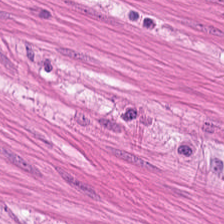Hematoxylin and eosin. 224×224 px patch. 0.5 µm/px — Q: What tissue type is shown here?
A: It is smooth muscle.
